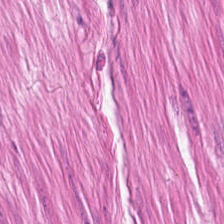224×224 px patch; H&E-stained tissue section; brightfield — The tissue is smooth-muscle tissue.
